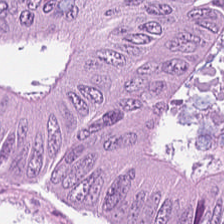H&E-stained tissue section.
Tissue type: tumor epithelium.
